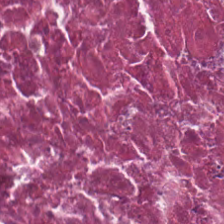H&E stain — The predominant tissue is necrotic debris.
